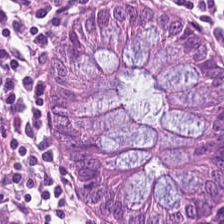Hematoxylin and eosin · brightfield.
Finding — non-neoplastic colon mucosa.
